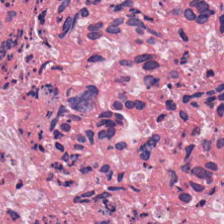0.5 µm/px · hematoxylin-and-eosin stained section.
Q: What is shown in this field?
A: The field shows cellular debris.
